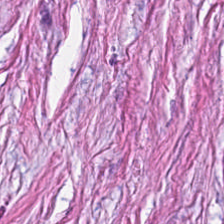H&E-stained tissue section. FFPE tissue section. This patch shows tumor-associated stroma.
